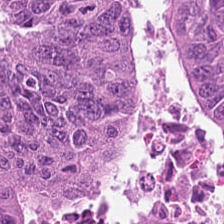H&E-stained tissue section — Q: What does this patch show?
A: This is malignant epithelium.
